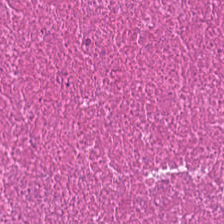0.5 microns per pixel. Hematoxylin and eosin. Formalin-fixed paraffin-embedded section — Predominantly debris.
